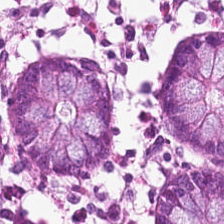Q: What is the predominant tissue type?
A: The field shows benign colonic mucosa.
